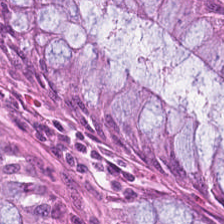Impression → normal colon mucosa.
